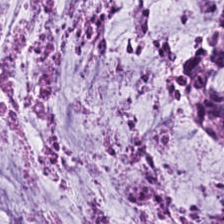Hematoxylin and eosin.
Predominantly extracellular mucin.
